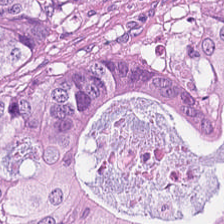224×224 px tile. H&E stain — This patch shows adenocarcinoma.
